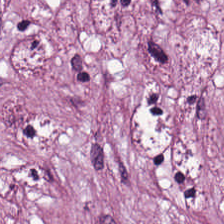Hematoxylin-and-eosin stained section. The predominant tissue is desmoplastic stroma.
